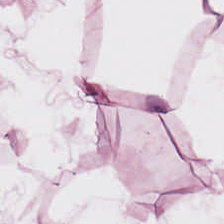Hematoxylin-and-eosin stained section. Finding → fat tissue.
